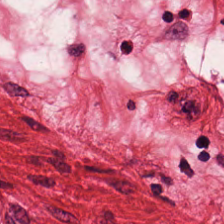H&E stain. The tissue type is smooth-muscle tissue.
